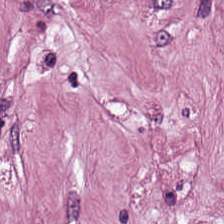Finding → tumor-associated stroma.
